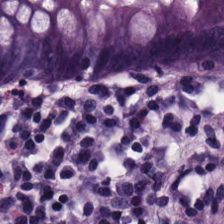H&E.
The predominant tissue is benign colonic mucosa.
